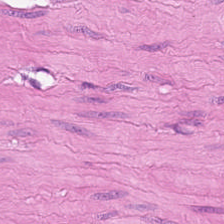Hematoxylin and eosin. 0.5 µm per pixel.
This field is muscularis.
